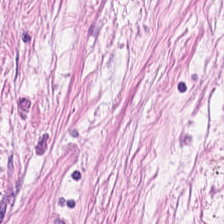H&E stain. Impression → tumor stroma.
